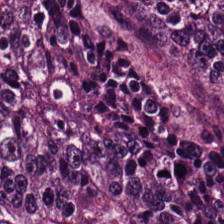H&E stain; 20× equivalent magnification; 224×224 px tile — Tissue type = tumor epithelium.
